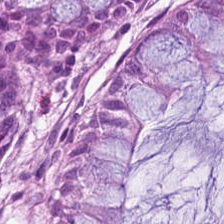Hematoxylin-and-eosin stained section; formalin-fixed paraffin-embedded section; whole-slide-image patch. Impression → non-neoplastic colon mucosa.
